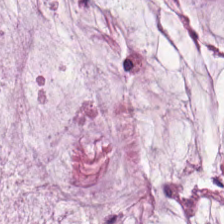Histology — mucin.
